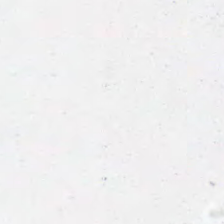H&E stain. 224×224 pixel tile. This field is background (no tissue).
